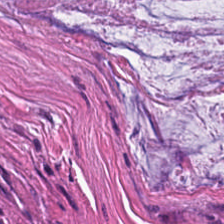Whole-slide-image patch; hematoxylin-and-eosin stained section.
Q: What is shown in this field?
A: This is mucus.
